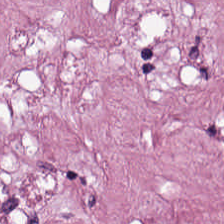0.5 µm per pixel. H&E. Desmoplastic stroma.
